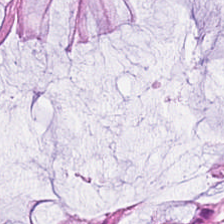224×224 px patch · H&E stain. Q: What tissue type is shown here?
A: This is benign colonic mucosa.
